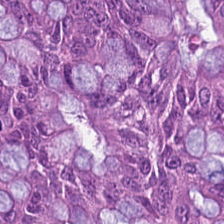Hematoxylin-and-eosin stained section.
Tissue type — tumor epithelium.
